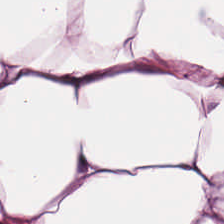Hematoxylin and eosin.
Tissue type = adipose.
